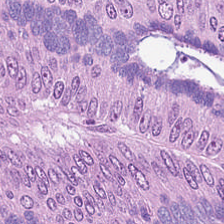Brightfield; H&E stain; FFPE tissue section. The predominant tissue is tumor epithelium.
